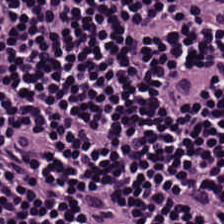Tissue — lymphoid infiltrate.
